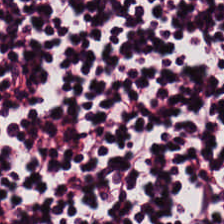H&E.
The tissue is lymphocytic infiltrate.
